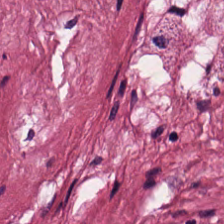H&E. Tissue = cancer-associated stroma.
